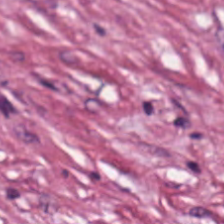Stain: H&E.
Tissue: cancer-associated stroma.
